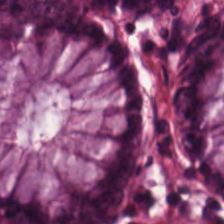224×224 pixel tile. H&E-stained tissue section. Showing normal colonic mucosa.
